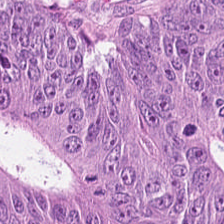Hematoxylin-and-eosin stained section. 224×224 px tile.
Showing colorectal adenocarcinoma.
